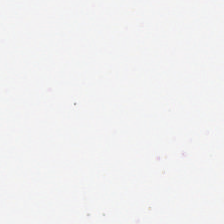Empty field — background.
